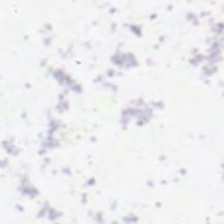Stain: H&E.
Classification: background (no tissue).
